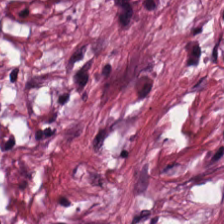Stain: hematoxylin-and-eosin stained section.
Classification: cancer-associated stroma.
